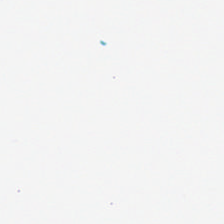H&E stain.
Finding — background.
